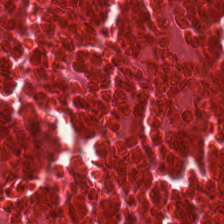Stain: H&E stain.
Tissue: cellular debris.
